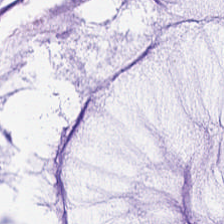FFPE tissue section · 224×224 pixel tile · H&E-stained tissue section.
{"tissue_type": "extracellular mucin"}
